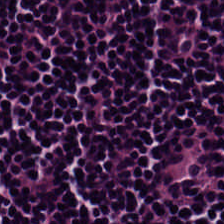H&E stain. Brightfield. Formalin-fixed paraffin-embedded section.
Q: What is shown here?
A: Lymphocytes.
